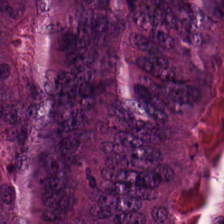H&E-stained tissue section — {"tissue_type": "tumor epithelium"}
